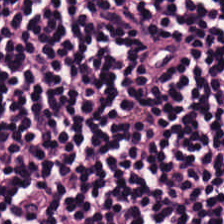224×224 px patch; formalin-fixed paraffin-embedded section; H&E-stained tissue section.
Lymphoid infiltrate.
